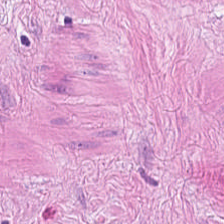H&E stain.
Predominantly smooth muscle.
